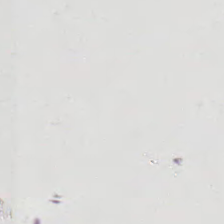Hematoxylin and eosin · 20× equivalent magnification · FFPE tissue section. Field content — background.
